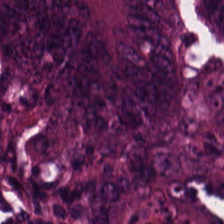Q: What is shown in this field?
A: It is tumor epithelium.
